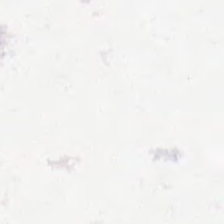224×224 px patch; hematoxylin and eosin.
{"content": "background (no tissue)"}
